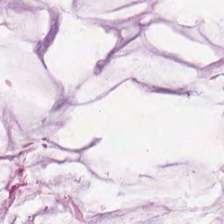H&E-stained tissue section showing mucin.
